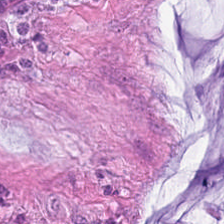{"tissue_type": "mucus"}
